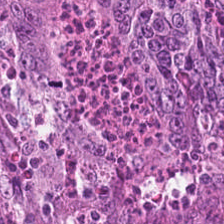Hematoxylin-and-eosin stained section — Histology — colorectal adenocarcinoma epithelium.
